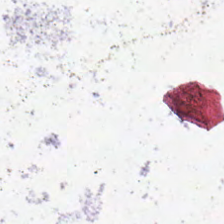Impression → no tissue.
